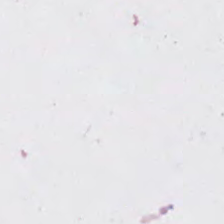Hematoxylin and eosin; whole-slide-image patch. This field is background (no tissue).
